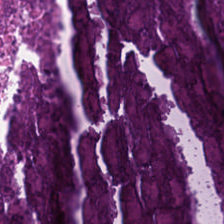Classification: cellular debris.
